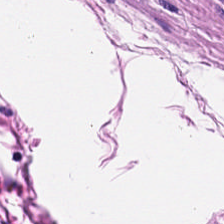Hematoxylin and eosin. Q: What is the predominant tissue type?
A: This is smooth-muscle tissue.
